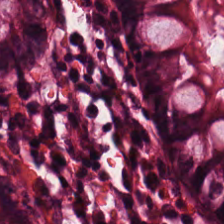Tissue type: benign colonic mucosa.
